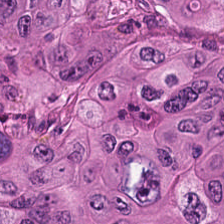Hematoxylin and eosin — This field is tumor epithelium.
